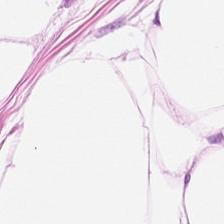H&E-stained tissue section showing adipocytes.
